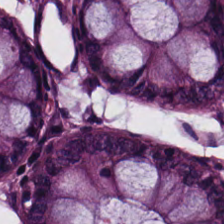Q: What type of tissue is this?
A: Normal colonic mucosa.
